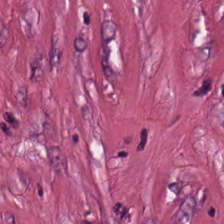Formalin-fixed paraffin-embedded section; 224×224 px patch; hematoxylin and eosin.
The predominant tissue is desmoplastic stroma.
